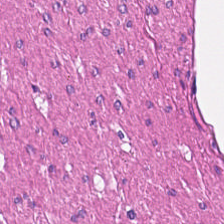H&E-stained tissue section.
This patch shows muscularis.
